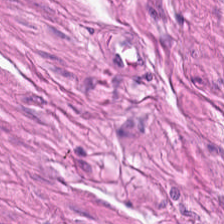{"tissue_type": "smooth-muscle tissue"}
